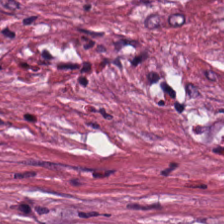Q: What is shown here?
A: It is tumor-associated stroma.
